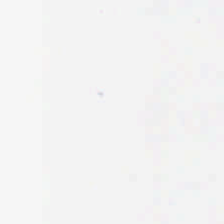Stain: H&E-stained tissue section.
Classification: background (no tissue).
